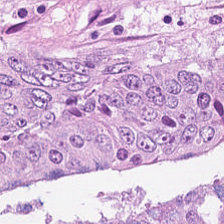Hematoxylin-and-eosin stained section.
Tissue class — tumor epithelium.
